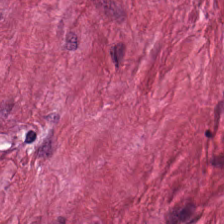Stain: H&E stain.
Resolution: 0.5 microns per pixel.
Tissue type: tumor-associated stroma.
